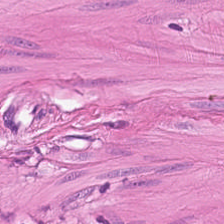Hematoxylin-and-eosin stained section.
The tissue here is muscularis.
